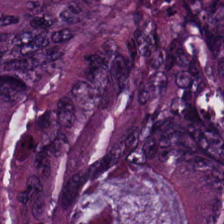Stain: hematoxylin-and-eosin stained section.
Preparation: FFPE tissue section.
Classification: malignant epithelium.
